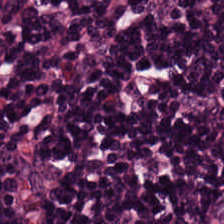{"tissue_type": "lymphocyte aggregate"}
